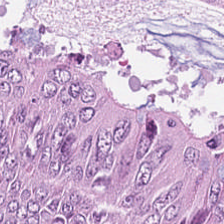Formalin-fixed paraffin-embedded section. 224×224 pixel tile. H&E stain — Q: What tissue type is shown here?
A: It is colorectal adenocarcinoma.
